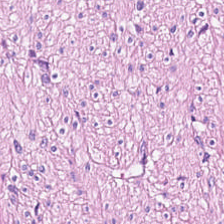The tissue is smooth-muscle tissue.
